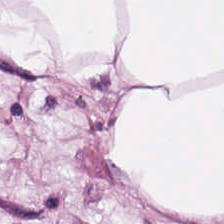Hematoxylin-and-eosin stained section. Brightfield microscopy — Predominantly fat tissue.
